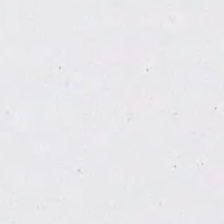H&E-stained tissue section. The content is background.
